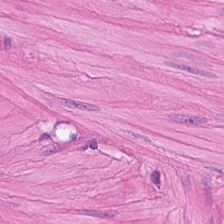Whole-slide-image patch. Formalin-fixed paraffin-embedded section. Hematoxylin-and-eosin stained section — Finding — smooth muscle.
